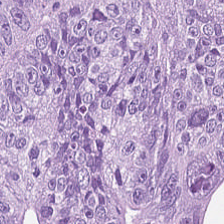Impression — colorectal adenocarcinoma.
